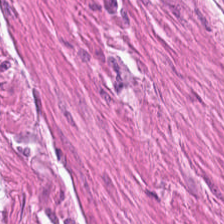0.5 µm/px. H&E. Formalin-fixed paraffin-embedded section.
This field is smooth muscle.
